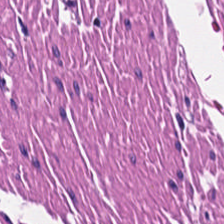Hematoxylin and eosin. Formalin-fixed paraffin-embedded section.
Tissue class: smooth-muscle tissue.
